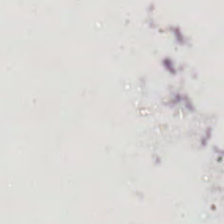Brightfield. Formalin-fixed paraffin-embedded section. Hematoxylin-and-eosin stained section.
{"content": "background"}
